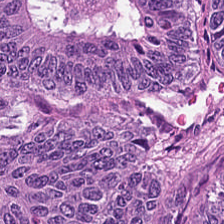Q: What type of tissue is this?
A: The field shows malignant epithelium.
